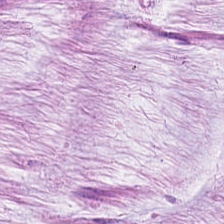20× equivalent magnification; H&E-stained tissue section.
Q: What type of tissue is this?
A: Mucin.
